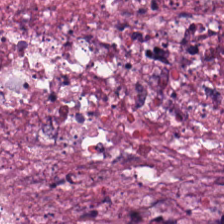0.5 µm per pixel. FFPE. Hematoxylin and eosin. Showing debris.
